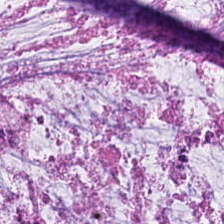H&E-stained tissue section — This field is mucin.
